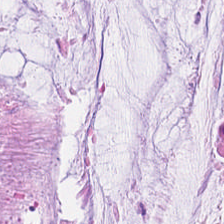H&E stain.
The tissue here is mucin.
